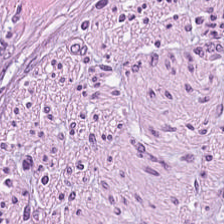H&E-stained tissue section. 20× equivalent magnification. 224×224 px tile. Tumor stroma.
